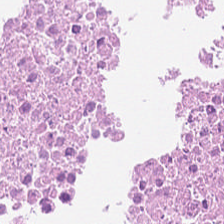Hematoxylin and eosin.
Tissue type = cellular debris.
